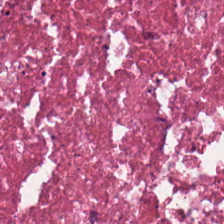Stain: hematoxylin and eosin.
Tissue class: debris.
